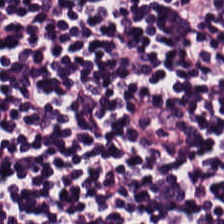Hematoxylin and eosin. Tissue class = lymphocytes.
